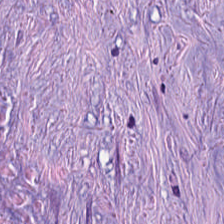224×224 px tile. Formalin-fixed paraffin-embedded section. Hematoxylin-and-eosin stained section — The classification is tumor stroma.
